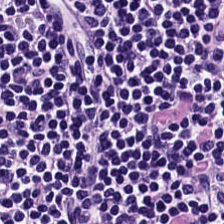H&E-stained tissue section.
Lymphoid infiltrate.
